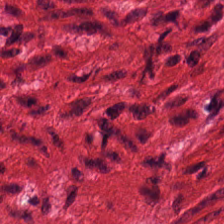The tissue is smooth-muscle tissue.
